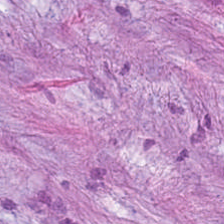224×224 pixel tile; 20× equivalent magnification; H&E stain — Histology — tumor stroma.
